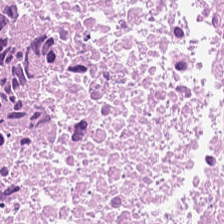Hematoxylin and eosin. 0.5 microns per pixel. The tissue is necrotic debris.
